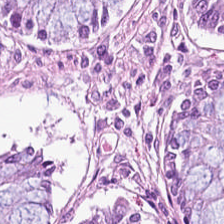H&E. FFPE — Predominant tissue = normal colonic mucosa.
